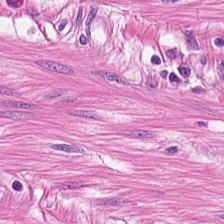H&E stain. 224×224 pixel tile.
Impression → smooth-muscle tissue.
